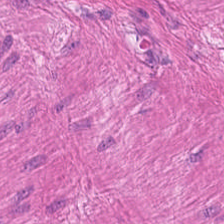Whole-slide-image patch. Hematoxylin-and-eosin stained section. Predominant tissue: muscularis.
